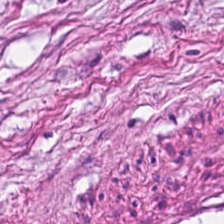224×224 pixel tile; H&E stain. Q: What tissue type is shown here?
A: This is cancer-associated stroma.
